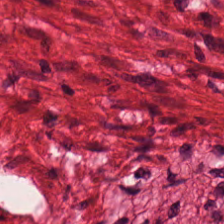0.5 µm per pixel; H&E-stained tissue section.
Finding — muscularis.
